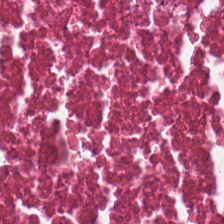20× equivalent magnification. Hematoxylin-and-eosin stained section — Predominantly cellular debris.
